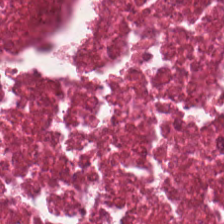Debris.
